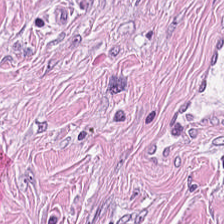Stain: hematoxylin-and-eosin stained section.
Acquisition: WSI patch.
Preparation: formalin-fixed paraffin-embedded section.
Tissue class: cancer-associated stroma.
